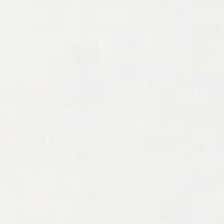Hematoxylin-and-eosin stained section; brightfield — Impression — no tissue.
